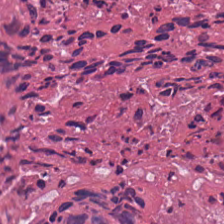Hematoxylin-and-eosin stained section. Formalin-fixed paraffin-embedded section. Brightfield microscopy. Finding → necrotic debris.
